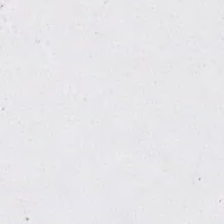FFPE; H&E stain; 20× equivalent magnification.
Q: What is shown here?
A: It is no tissue.
